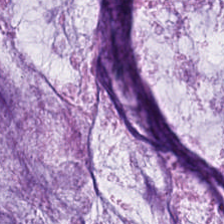Stain: hematoxylin and eosin.
Tissue: mucus.
